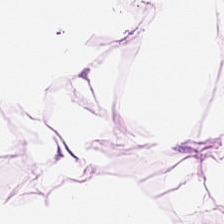H&E-stained tissue section — Tissue type — fat tissue.
